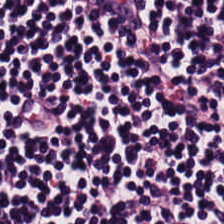0.5 µm/px · H&E stain.
Histology → lymphocytes.
